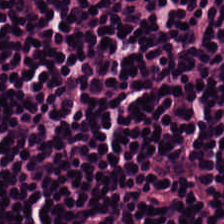H&E-stained tissue section — The predominant tissue is lymphocyte aggregate.
